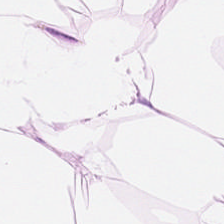H&E-stained tissue section · FFPE. Predominantly adipose tissue.
